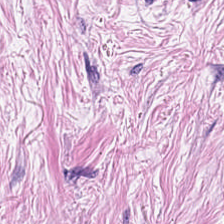0.5 µm/px; brightfield; H&E stain. Finding → tumor stroma.
